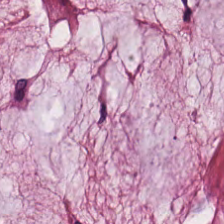Histology → mucin.
